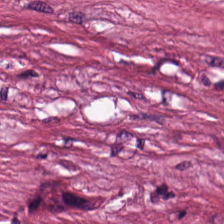Q: What does this patch show?
A: The field shows necrotic debris.
